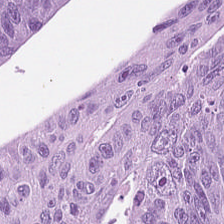H&E-stained tissue section. 224×224 px patch. Brightfield.
{"tissue_type": "colorectal adenocarcinoma"}
